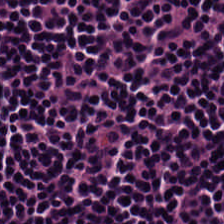H&E stain. 224×224 px patch — Showing lymphocyte aggregate.
